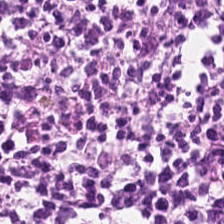The predominant tissue is lymphocyte aggregate.
